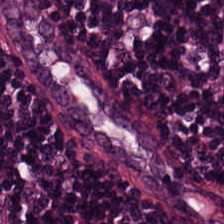FFPE · H&E stain · brightfield microscopy. The tissue here is lymphocyte aggregate.
